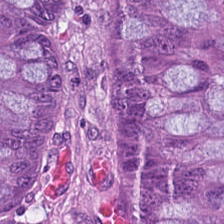Stain: H&E.
Predominant tissue: adenocarcinoma.
